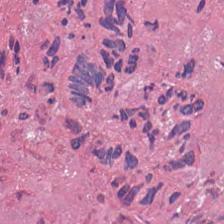H&E-stained tissue section. Brightfield microscopy. FFPE — Predominantly necrotic debris.
